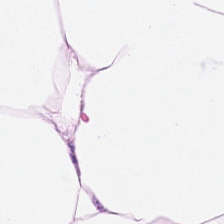WSI patch; H&E-stained tissue section.
Finding → adipose.
